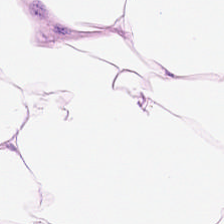H&E stain — The predominant tissue is adipocytes.
